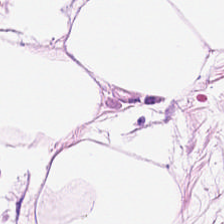Predominantly adipocytes.
